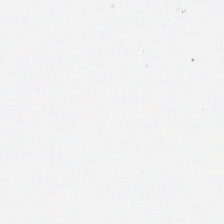224×224 px patch. 0.5 microns per pixel. H&E-stained tissue section. Empty field — background (no tissue).
